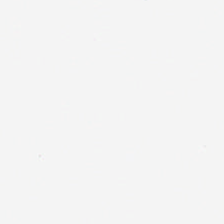Q: What is shown in this field?
A: This is background (no tissue).
